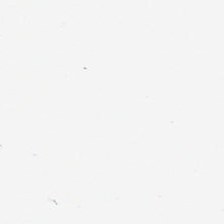H&E · brightfield microscopy — Content = background (no tissue).
